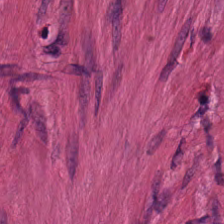Smooth muscle.
